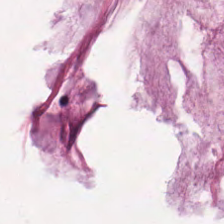H&E stain. 224×224 px tile — The tissue is mucus.
